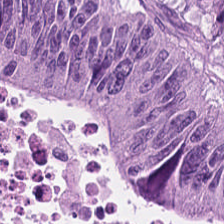H&E stain.
The tissue class is tumor epithelium.
